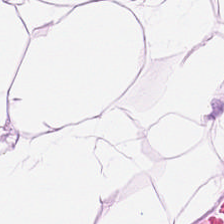Stain: H&E-stained tissue section.
Tile size: 224×224 pixel tile.
Classification: adipose tissue.
